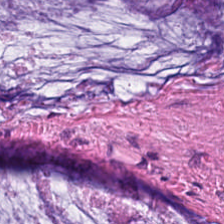H&E stain.
Tissue type = mucin.
